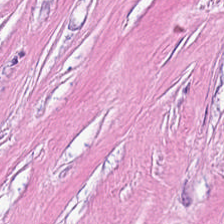20× equivalent magnification. H&E-stained tissue section. WSI patch.
Tissue = tumor stroma.
